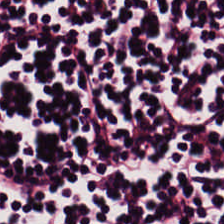Stain: H&E stain.
Classification: lymphocytic infiltrate.
